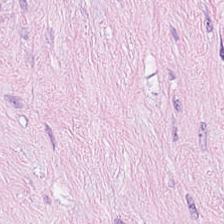Formalin-fixed paraffin-embedded section; hematoxylin and eosin; brightfield microscopy. Showing tumor stroma.
